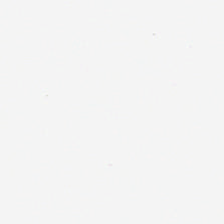Hematoxylin-and-eosin stained section — No tissue present; background only.
